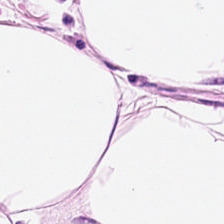Stain: hematoxylin-and-eosin stained section.
Tissue: adipose tissue.
